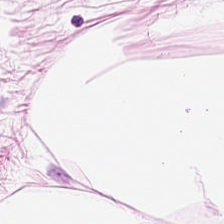H&E — adipose tissue.
